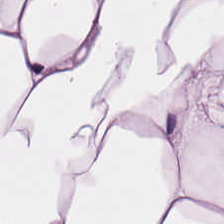Stain: hematoxylin-and-eosin stained section.
Tissue class: adipose.
